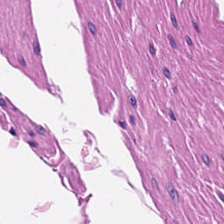H&E stain — The tissue here is smooth muscle.
